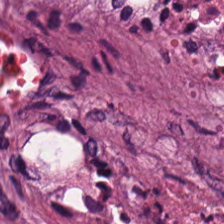Impression — debris.
